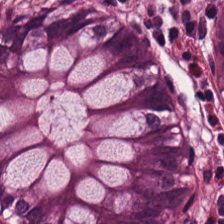Hematoxylin and eosin. 224×224 pixel tile. Q: What type of tissue is this?
A: The field shows normal colonic mucosa.
